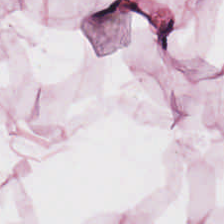The classification is adipocytes.
